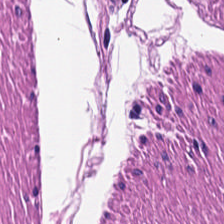H&E stain. The tissue class is muscularis.
